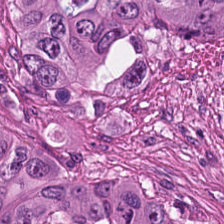Classification: adenocarcinoma.
